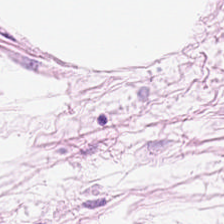The tissue here is adipose.
